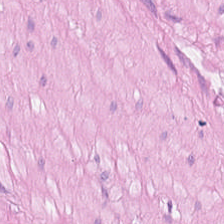Hematoxylin-and-eosin section: smooth-muscle tissue.
